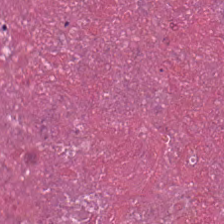H&E stain.
Impression → debris.
